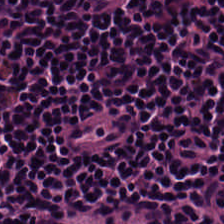H&E. Impression → lymphocyte aggregate.
